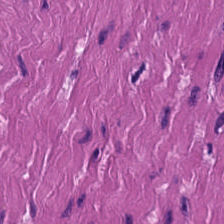224×224 pixel tile. H&E stain. FFPE tissue section.
Smooth-muscle tissue.
